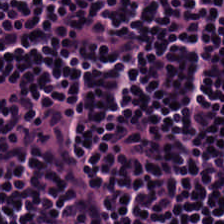{"tissue_type": "lymphocyte aggregate"}
